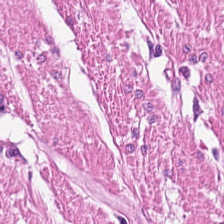Formalin-fixed paraffin-embedded section; H&E stain.
Tissue — smooth muscle.
